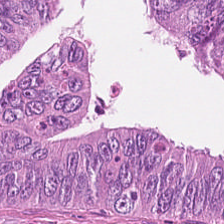{"tissue_type": "colorectal adenocarcinoma epithelium"}
